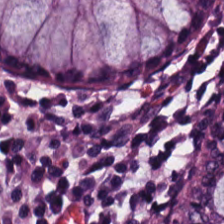Histology — normal colonic mucosa.
